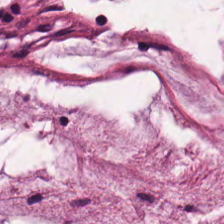H&E; formalin-fixed paraffin-embedded section. {"tissue_type": "mucin"}
